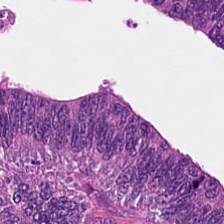H&E stain — Classification — tumor epithelium.
